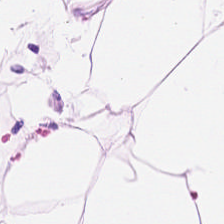Stain: hematoxylin and eosin.
Tissue class: adipocytes.
